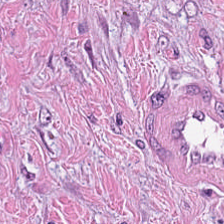0.5 µm per pixel · 224×224 pixel tile · hematoxylin-and-eosin stained section. {"tissue_type": "tumor stroma"}
